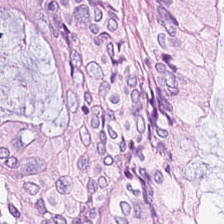FFPE. Hematoxylin and eosin.
Finding → normal colon mucosa.
